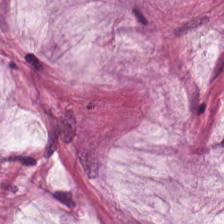H&E stain · brightfield microscopy. {"tissue_type": "mucus"}
